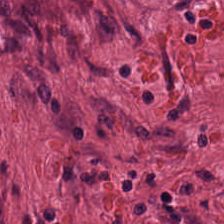{"tissue_type": "tumor stroma"}
